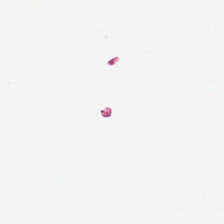No tissue present; background only.
